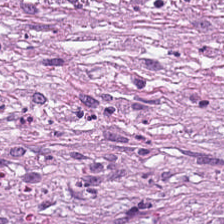Hematoxylin-and-eosin stained section — Q: What tissue type is shown here?
A: The field shows tumor stroma.
